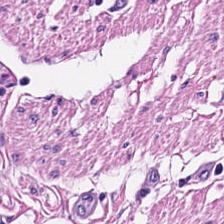H&E — The predominant tissue is muscularis.
